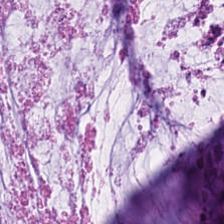20× equivalent magnification; H&E stain.
Extracellular mucin.
